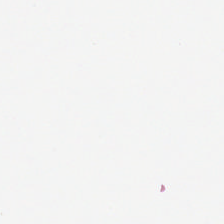Stain: H&E.
Classification: background (no tissue).
